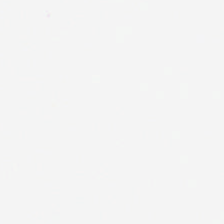Hematoxylin and eosin.
Classification: background (no tissue).
